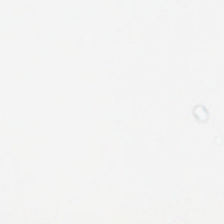Stain: H&E stain.
Resolution: 0.5 µm/px.
Acquisition: brightfield.
Classification: background (no tissue).
